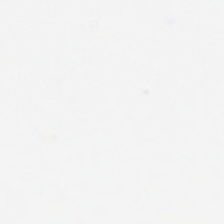224×224 px patch. H&E stain — No tissue present; background only.
